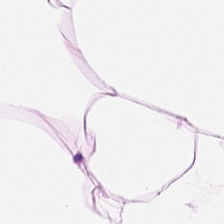0.5 µm per pixel · 224×224 pixel tile · hematoxylin-and-eosin stained section.
Tissue = adipose.
